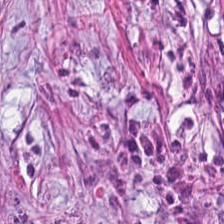H&E stain · 0.5 µm/px. Tissue class: tumor stroma.
